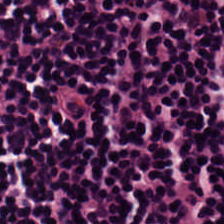The tissue class is lymphocyte aggregate.
